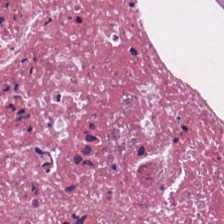H&E stain.
Classification — cellular debris.
